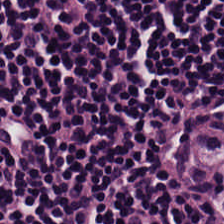Brightfield · H&E. Predominant tissue: lymphocyte aggregate.
